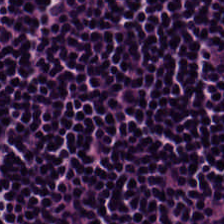H&E stain — Predominant tissue — lymphocyte aggregate.
